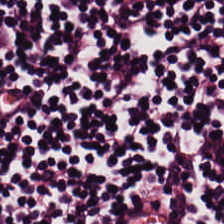0.5 microns per pixel · hematoxylin-and-eosin stained section · brightfield — Tissue: lymphoid infiltrate.
